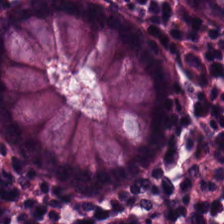Q: What tissue type is shown here?
A: This is benign colonic mucosa.
